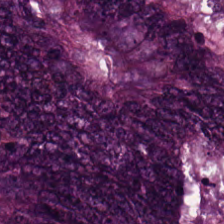Classification: colorectal adenocarcinoma epithelium.
